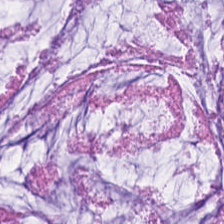H&E; 224×224 pixel tile.
The tissue type is mucus.
